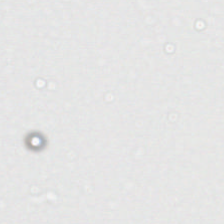224×224 pixel tile · H&E · FFPE tissue section. This field is background (no tissue).
